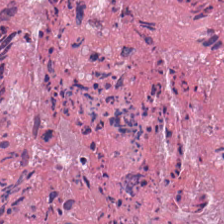H&E-stained tissue section — This field is necrotic debris.
